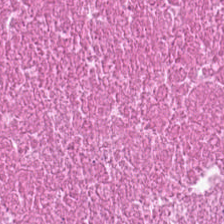H&E — Q: What is shown here?
A: It is debris.
